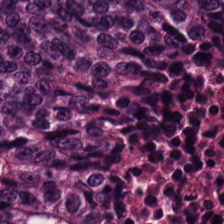Tissue type = colorectal adenocarcinoma epithelium.
